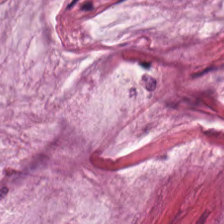Hematoxylin and eosin; 0.5 µm per pixel.
The predominant tissue is mucin.
